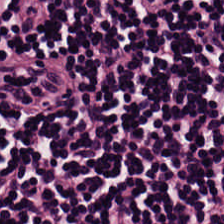Impression — lymphocytic infiltrate.
